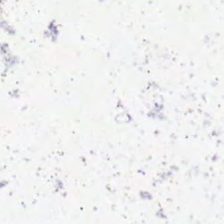H&E-stained tissue section — {"content": "no tissue"}
